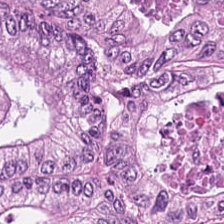Impression → malignant epithelium.
